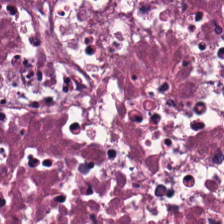H&E stain. Q: Classify this patch.
A: Necrotic debris.
